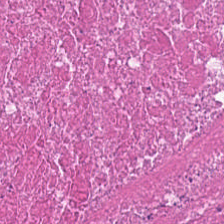Hematoxylin and eosin. Showing debris.
